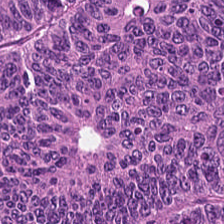Q: Identify the tissue.
A: This is colorectal adenocarcinoma.
